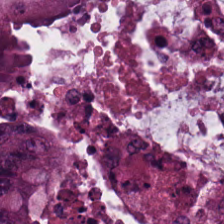H&E-stained tissue section. The predominant tissue is colorectal adenocarcinoma.
